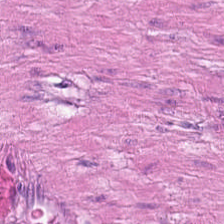H&E stain.
Q: What tissue is shown?
A: Smooth muscle.
